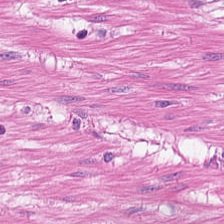H&E stain — Tissue — smooth muscle.
